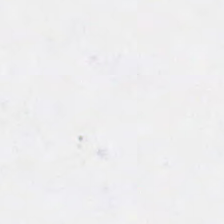H&E stain — No tissue.
